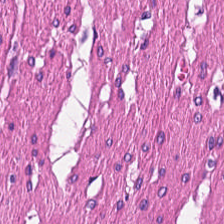Smooth-muscle tissue.
